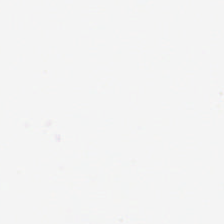Hematoxylin and eosin; 0.5 µm per pixel — Finding → no tissue.
